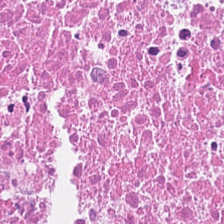224×224 px tile. H&E stain.
Tissue type: necrotic debris.
